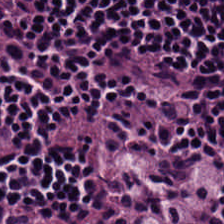H&E · 224×224 pixel tile.
Finding — lymphocytic infiltrate.
